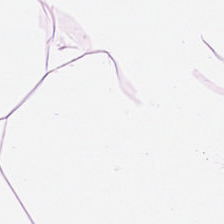20× equivalent magnification; hematoxylin and eosin; brightfield microscopy — This field is fat tissue.
